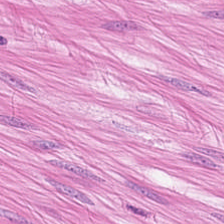H&E-stained tissue section — Classification — smooth-muscle tissue.
